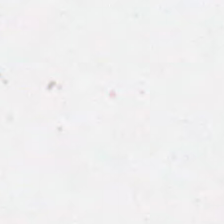0.5 µm per pixel; H&E-stained tissue section; formalin-fixed paraffin-embedded section — Field content: background (no tissue).
